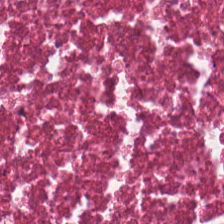H&E. 224×224 pixel tile.
Q: What type of tissue is this?
A: It is necrotic debris.
